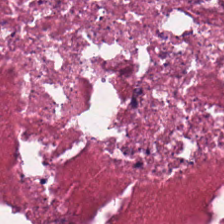H&E; 224×224 px tile; FFPE tissue section.
The predominant tissue is cellular debris.
